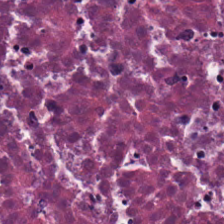H&E stain — Showing necrotic debris.
